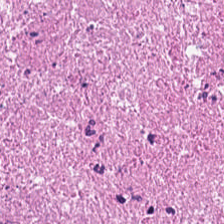Hematoxylin and eosin. Q: What is shown in this field?
A: The field shows debris.
